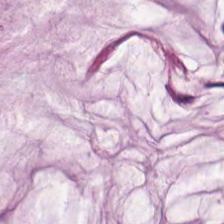Predominantly extracellular mucin.
